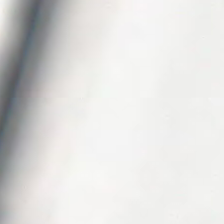Hematoxylin and eosin. Classification = background (no tissue).
